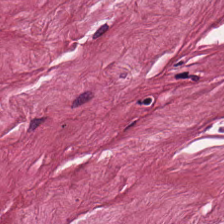Stain: hematoxylin-and-eosin stained section.
Tile size: 224×224 pixel tile.
Predominant tissue: desmoplastic stroma.
